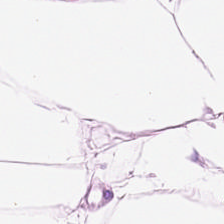Stain: H&E.
Classification: adipose tissue.
